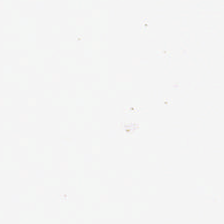FFPE. Hematoxylin and eosin. 20× equivalent magnification. Histology → empty background.
